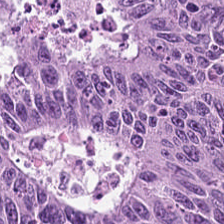Hematoxylin and eosin.
This patch shows colorectal adenocarcinoma.
